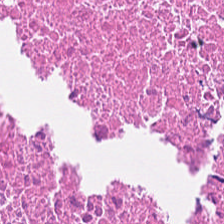Brightfield microscopy; H&E. Histology — cellular debris.
